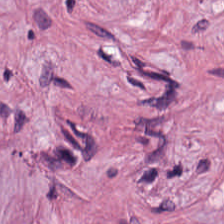H&E.
Classification = tumor-associated stroma.
